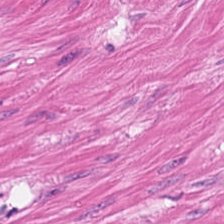H&E-stained tissue section — Predominantly smooth muscle.
